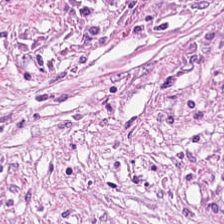H&E-stained tissue section · 0.5 µm per pixel. The tissue here is tumor stroma.
